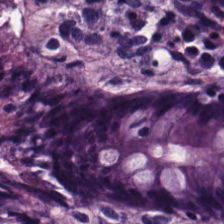Hematoxylin-and-eosin stained section · 20× equivalent magnification.
Q: What is shown in this field?
A: Normal colonic mucosa.
